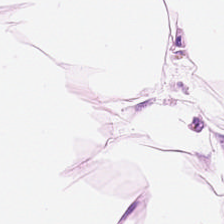FFPE. H&E. 224×224 px tile.
Adipocytes.
